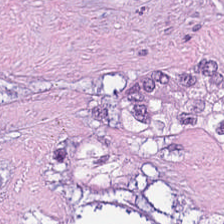H&E stain. Classification = cellular debris.
